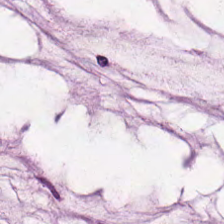H&E-stained tissue section · FFPE. {"tissue_type": "extracellular mucin"}
